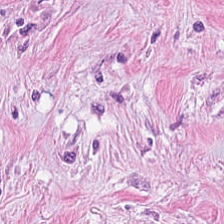H&E. Tumor stroma.
